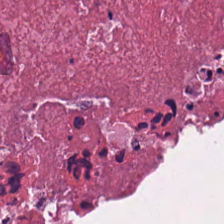Stain: H&E-stained tissue section.
Tissue type: necrotic debris.
